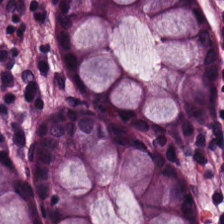The predominant tissue is normal colonic mucosa.
